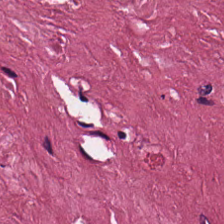Predominant tissue = tumor-associated stroma.
